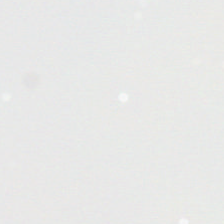FFPE. H&E-stained tissue section. 224×224 px patch.
Background (no tissue).
